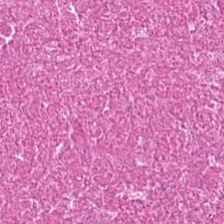Stain: hematoxylin and eosin.
Tile size: 224×224 px patch.
Tissue type: debris.
